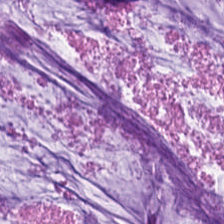Hematoxylin and eosin · FFPE · 0.5 µm per pixel — Predominantly extracellular mucin.
